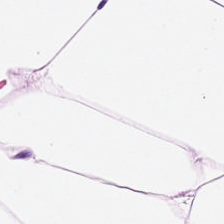H&E stain · 224×224 pixel tile.
Histology — adipose.
